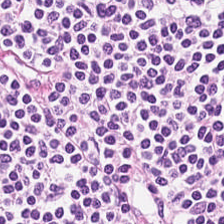Classification — lymphocytes.
